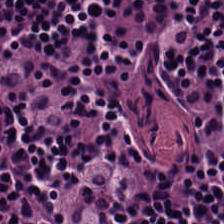FFPE tissue section · 0.5 microns per pixel · H&E-stained tissue section — This patch shows lymphocyte aggregate.
